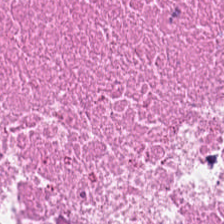H&E · brightfield microscopy.
Showing necrotic debris.
